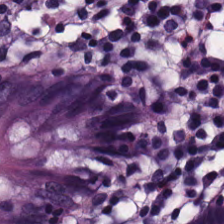Tissue class = non-neoplastic colon mucosa.
